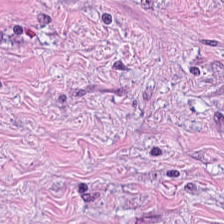224×224 px patch. H&E stain. Cancer-associated stroma.
